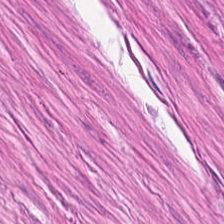Hematoxylin-and-eosin stained section.
Q: Classify this patch.
A: The field shows muscularis.
